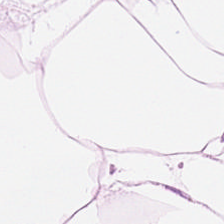H&E stain — Histology — adipose tissue.
